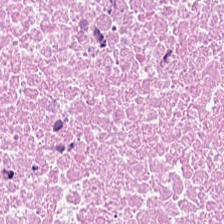H&E — The predominant tissue is necrotic debris.
